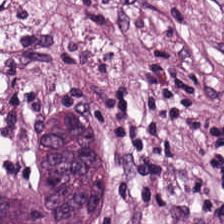Formalin-fixed paraffin-embedded section; 224×224 pixel tile; hematoxylin-and-eosin stained section — This field is desmoplastic stroma.
